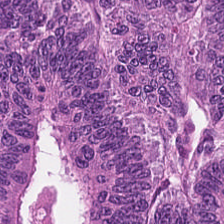H&E-stained tissue section.
The predominant tissue is colorectal adenocarcinoma epithelium.
